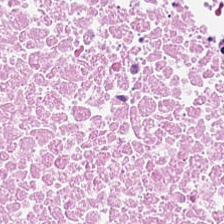H&E-stained tissue section; FFPE tissue section.
Q: What type of tissue is this?
A: It is necrotic debris.
